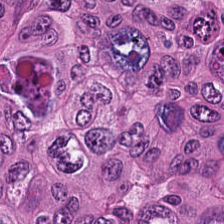H&E-stained tissue section. 0.5 µm/px — The tissue here is malignant epithelium.
